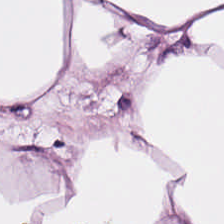0.5 µm/px. FFPE tissue section. H&E. Tissue — adipose.
